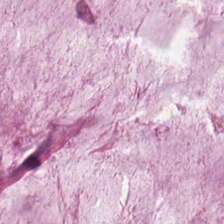Hematoxylin-and-eosin stained section.
Tissue = mucus.
